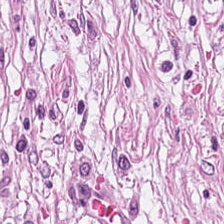H&E-stained section; the field shows tumor-associated stroma.
